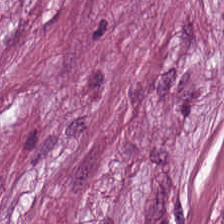H&E-stained tissue section · brightfield · 0.5 µm/px — The classification is desmoplastic stroma.
